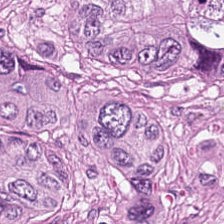H&E stain.
Predominantly tumor epithelium.
